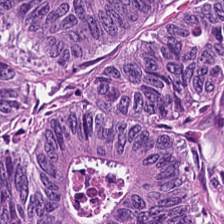This field is malignant epithelium.
